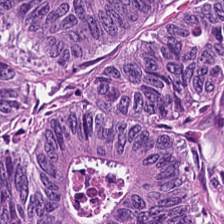This field is malignant epithelium.
